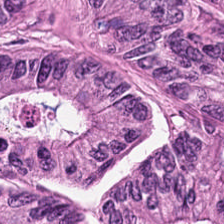Hematoxylin and eosin.
Q: What is shown in this field?
A: The field shows colorectal adenocarcinoma epithelium.
